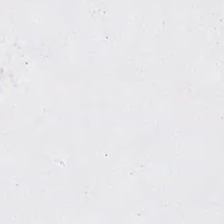Hematoxylin and eosin — Classification — empty background.
